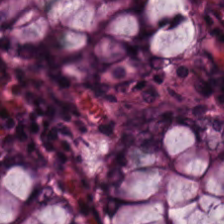H&E. Tissue type = normal colon mucosa.
